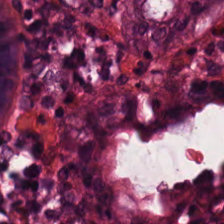Q: What is shown in this field?
A: This is normal colon mucosa.
